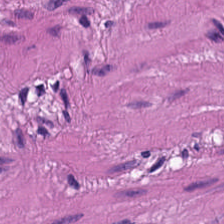Tissue type — muscularis.
